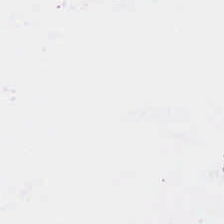Hematoxylin and eosin. FFPE tissue section. The content is no tissue.
